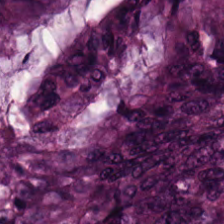H&E stain. The predominant tissue is malignant epithelium.
